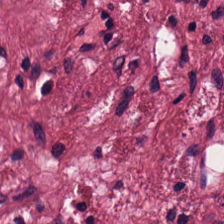Stain: H&E stain.
Classification: cancer-associated stroma.
